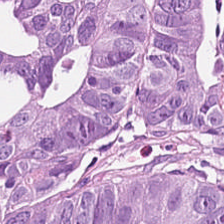The tissue is adenocarcinoma.
